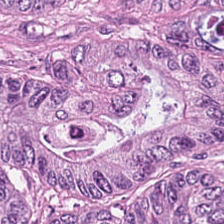Brightfield microscopy · H&E stain — Q: What is shown in this field?
A: The field shows colorectal adenocarcinoma.
